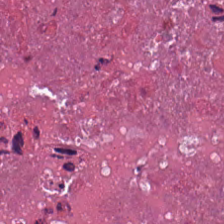H&E stain — This patch shows debris.
